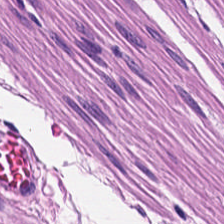Hematoxylin and eosin. Histology — muscularis.
